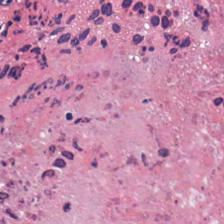Hematoxylin-and-eosin stained section · 224×224 px patch. Tissue type = debris.
